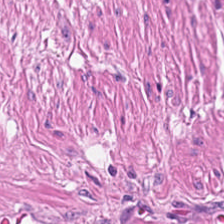H&E. 224×224 pixel tile — Tissue class = smooth-muscle tissue.
